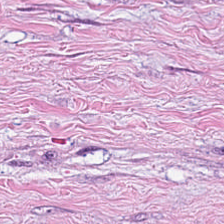Hematoxylin-and-eosin stained section. Q: What is shown here?
A: It is tumor stroma.
